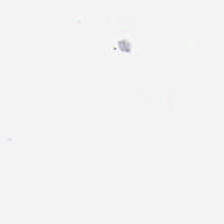Hematoxylin-and-eosin stained section; brightfield. Background — no tissue in this field.
